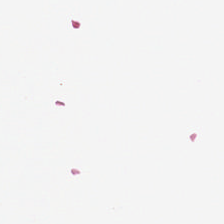Empty field — empty background.
